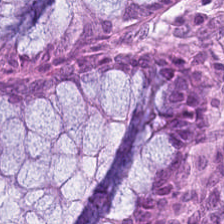H&E stain.
{"tissue_type": "benign colonic mucosa"}
